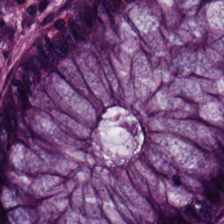H&E. Normal colon mucosa.
